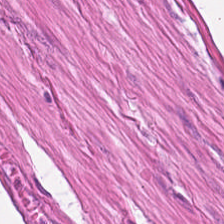Predominantly smooth-muscle tissue.
